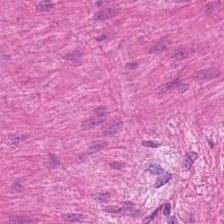The classification is muscularis.
